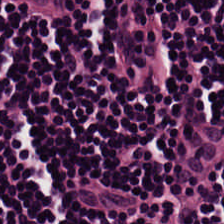Hematoxylin and eosin — Showing lymphocytic infiltrate.
